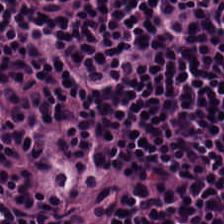0.5 µm/px; brightfield; hematoxylin-and-eosin stained section — Q: What type of tissue is this?
A: It is lymphocytes.
